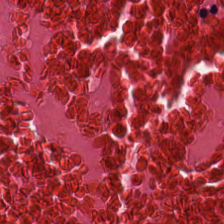Hematoxylin and eosin · FFPE tissue section — Q: What is shown in this field?
A: This is debris.
